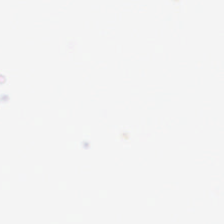No tissue present; background only.
